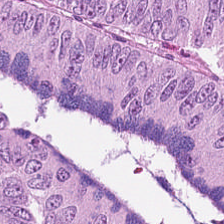H&E.
Histology — colorectal adenocarcinoma epithelium.
